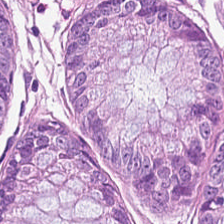Brightfield · H&E. Finding — normal colonic mucosa.
